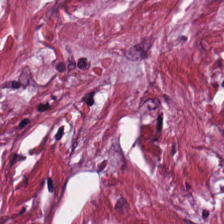Cancer-associated stroma.
